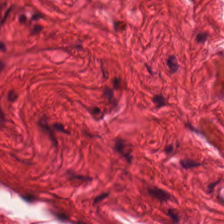Hematoxylin-and-eosin stained section · 0.5 µm per pixel.
Q: What tissue is shown?
A: It is muscularis.
